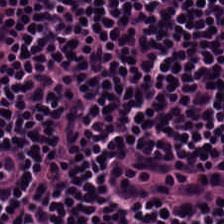H&E-stained tissue section.
Predominantly lymphocyte aggregate.
